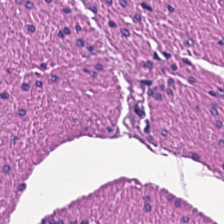Hematoxylin and eosin.
Finding — smooth-muscle tissue.
